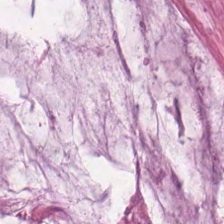The classification is extracellular mucin.
